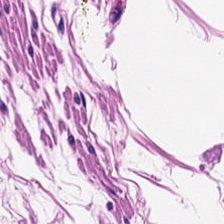Stain: hematoxylin and eosin.
Acquisition: brightfield.
Classification: smooth-muscle tissue.
